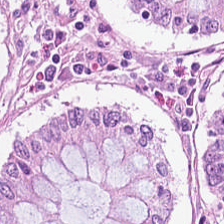Hematoxylin and eosin — Q: Classify this patch.
A: This is normal colonic mucosa.
